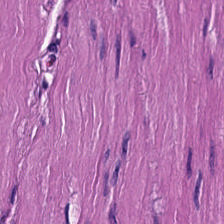Hematoxylin and eosin — Classification — smooth-muscle tissue.
